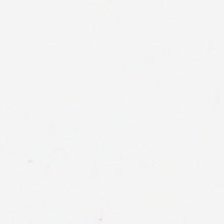Hematoxylin and eosin.
Content: background.
